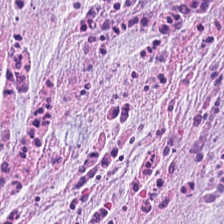Hematoxylin and eosin — {"tissue_type": "tumor stroma"}
